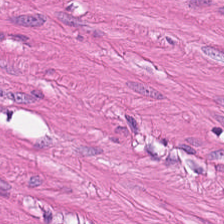FFPE tissue section · H&E-stained tissue section · 0.5 µm/px.
Impression — smooth muscle.
